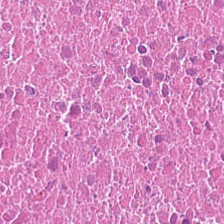Hematoxylin and eosin.
The predominant tissue is necrotic debris.
